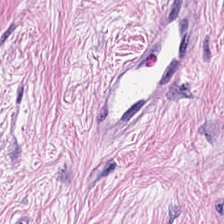Stain: hematoxylin and eosin.
Tissue: cancer-associated stroma.
